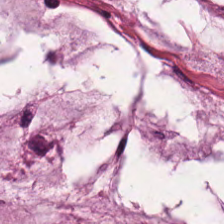Hematoxylin-and-eosin section: mucus.
